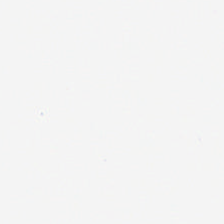Hematoxylin and eosin. Formalin-fixed paraffin-embedded section — The field content is background (no tissue).
